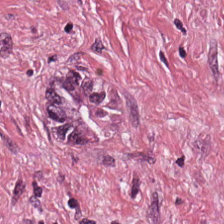224×224 px patch. H&E. The tissue here is tumor stroma.
